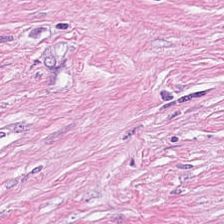Stain: hematoxylin-and-eosin stained section.
Acquisition: brightfield.
Resolution: 0.5 µm per pixel.
Tissue class: tumor-associated stroma.
